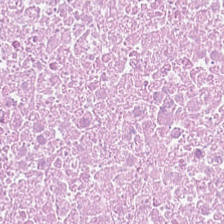H&E stain. 0.5 µm per pixel.
Q: What does this patch show?
A: Debris.
